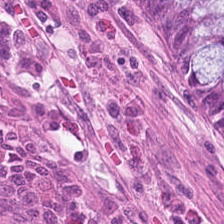Histology → benign colonic mucosa.
